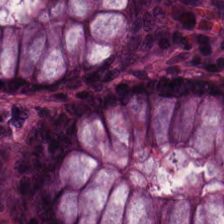WSI patch. H&E-stained tissue section.
The predominant tissue is benign colonic mucosa.
